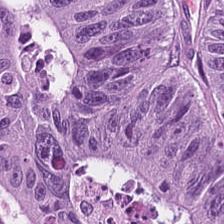Predominant tissue: colorectal adenocarcinoma epithelium.
